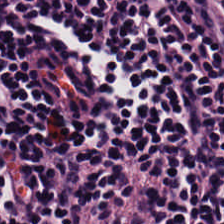This field is lymphocytes.
